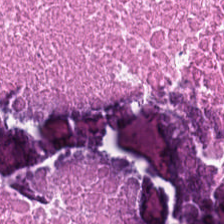H&E-stained section; the field shows necrotic debris.
